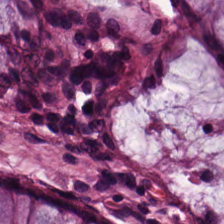Tissue type = normal colon mucosa.
